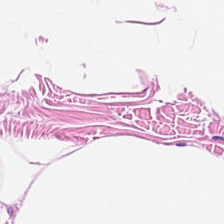H&E-stained tissue section — Predominant tissue — adipose tissue.
